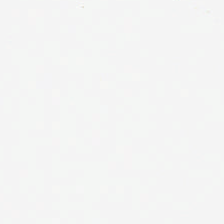Brightfield. Hematoxylin and eosin — The field content is background (no tissue).
